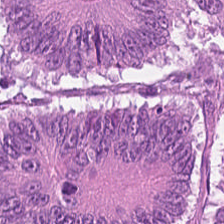H&E-stained tissue section — Q: What tissue type is shown here?
A: It is colorectal adenocarcinoma epithelium.
